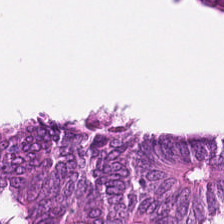H&E-stained tissue section showing colorectal adenocarcinoma epithelium.
